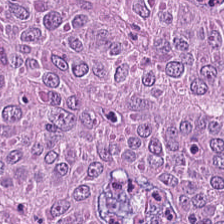H&E-stained tissue section. FFPE tissue section — Q: What tissue type is shown here?
A: Malignant epithelium.
